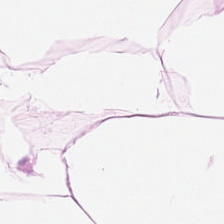H&E stain. Showing fat tissue.
